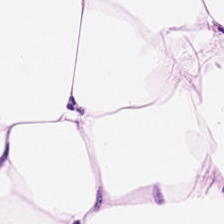The predominant tissue is adipose tissue.
